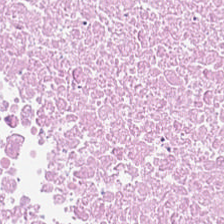H&E.
The predominant tissue is necrotic debris.
